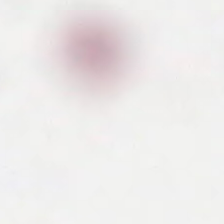Hematoxylin-and-eosin stained section — Q: What is shown in this field?
A: It is background.
